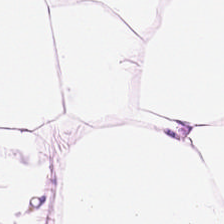Tissue type: adipocytes.
